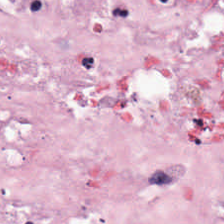H&E — tumor-associated stroma.
